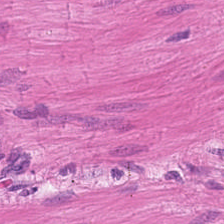H&E-stained tissue section · 224×224 px tile.
This field is smooth muscle.
